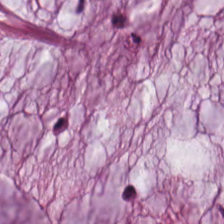0.5 µm/px. Hematoxylin-and-eosin stained section. The tissue here is mucin.
